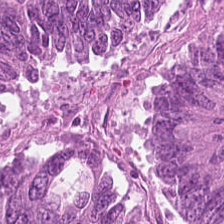WSI patch. Hematoxylin and eosin. FFPE.
Histology → tumor epithelium.
